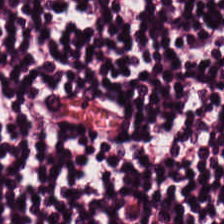Stain: H&E.
Tissue class: lymphocytic infiltrate.
